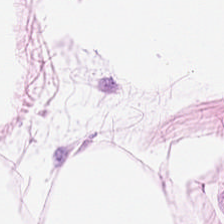Hematoxylin and eosin; 20× equivalent magnification. This field is adipose.
